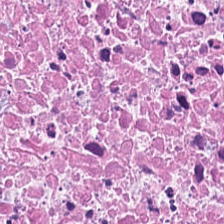Stain: H&E.
Resolution: 20× equivalent magnification.
Tissue: debris.
